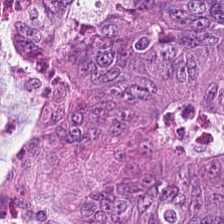The tissue class is tumor epithelium.
